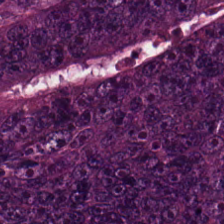Hematoxylin-and-eosin stained section.
Histology → colorectal adenocarcinoma epithelium.
